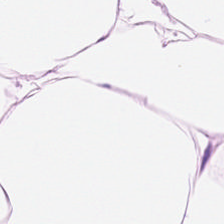FFPE; H&E stain. Predominant tissue = fat tissue.
